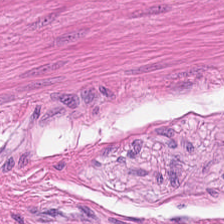H&E; formalin-fixed paraffin-embedded section; 224×224 px tile. Q: What is shown in this field?
A: This is muscularis.
